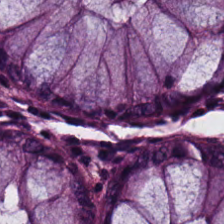The tissue here is normal colonic mucosa.
